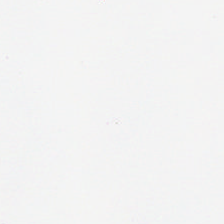Hematoxylin-and-eosin stained section · 0.5 microns per pixel — Q: What is shown here?
A: It is no tissue.
